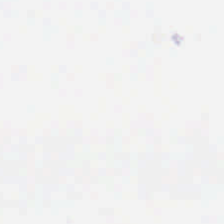No tissue.
